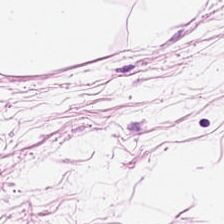FFPE tissue section; hematoxylin and eosin — Q: What is the predominant tissue type?
A: Adipose tissue.
